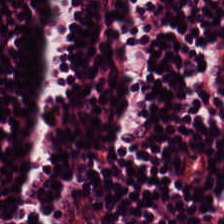Hematoxylin-and-eosin stained section — This patch shows lymphoid infiltrate.
